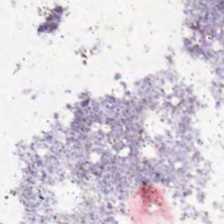224×224 pixel tile; H&E-stained tissue section; formalin-fixed paraffin-embedded section — {"content": "empty background"}
